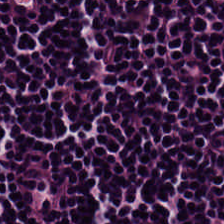Brightfield microscopy · FFPE tissue section · H&E.
Lymphocytic infiltrate.
